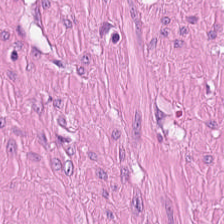Classification = smooth muscle.
